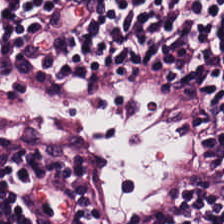Lymphocyte aggregate.
